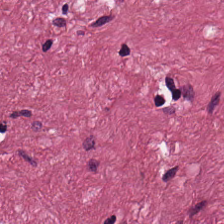FFPE; WSI patch; H&E stain — Q: What type of tissue is this?
A: Tumor stroma.
